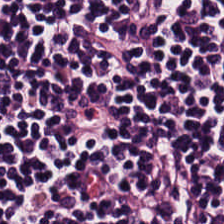Brightfield microscopy; H&E stain. {"tissue_type": "lymphocyte aggregate"}
